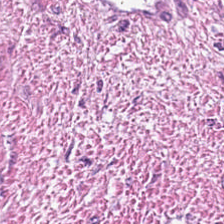H&E-stained tissue section — This field is desmoplastic stroma.
